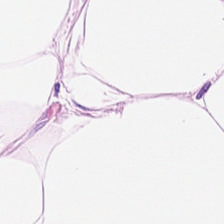Q: What tissue type is shown here?
A: Adipose tissue.
